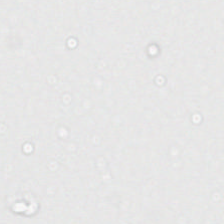Stain: hematoxylin-and-eosin stained section.
Field content: background.
